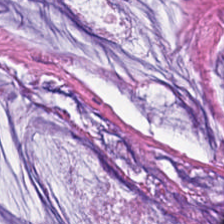Hematoxylin-and-eosin stained section.
The tissue type is mucus.
